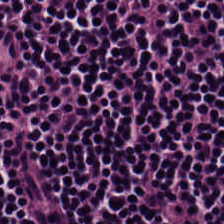Hematoxylin-and-eosin stained section. 0.5 microns per pixel. The predominant tissue is lymphocyte aggregate.
